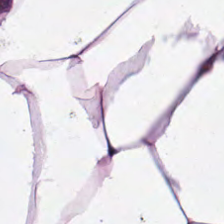Classification = fat tissue.
